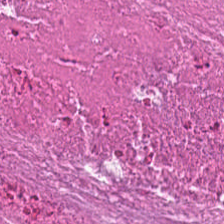H&E.
{"tissue_type": "debris"}
